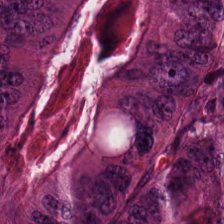Hematoxylin and eosin.
Tissue class: tumor epithelium.
